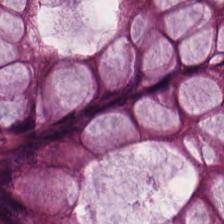Histology — normal colonic mucosa.
